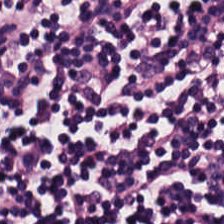Hematoxylin and eosin. Impression — lymphocytes.
